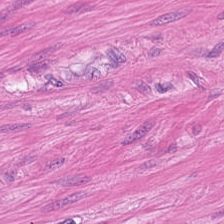H&E — Q: What type of tissue is this?
A: The field shows smooth muscle.
